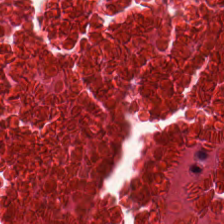H&E-stained tissue section.
This patch shows cellular debris.
